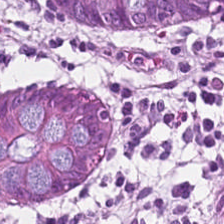The predominant tissue is non-neoplastic colon mucosa.
